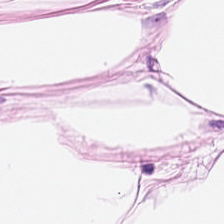224×224 px patch. Hematoxylin and eosin.
Q: What does this patch show?
A: Adipose.
